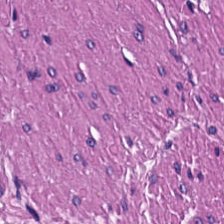0.5 µm/px · FFPE · H&E. Predominantly smooth muscle.
